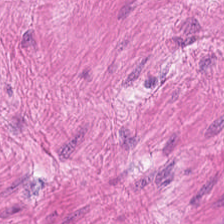Q: What does this patch show?
A: Smooth muscle.
